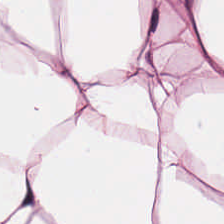0.5 µm/px · H&E-stained tissue section. Fat tissue.
